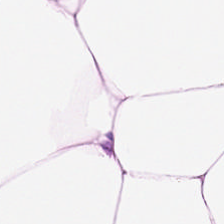FFPE tissue section; 0.5 microns per pixel; H&E stain.
Predominantly adipocytes.
